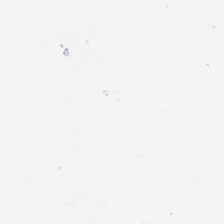224×224 px tile; H&E — The field content is background.
